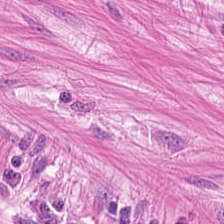WSI patch · hematoxylin and eosin · 224×224 px tile — Q: What is shown here?
A: Muscularis.
